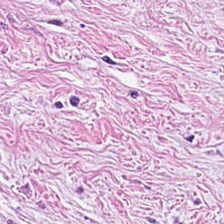H&E-stained tissue section. Formalin-fixed paraffin-embedded section. WSI patch. The tissue here is tumor-associated stroma.
